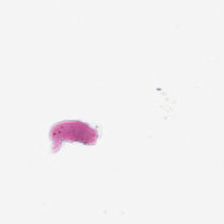H&E. Classification: no tissue.
